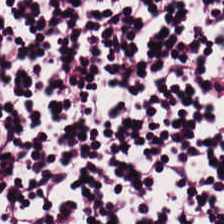H&E.
Q: What tissue is shown?
A: This is lymphocytic infiltrate.
